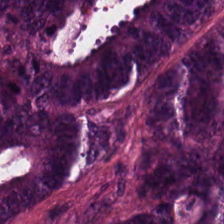H&E stain — Impression — malignant epithelium.
